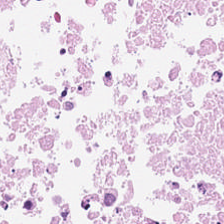H&E. Impression — debris.
